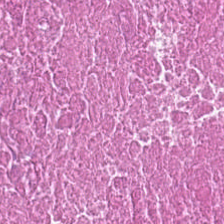H&E-stained tissue section.
This field is debris.
